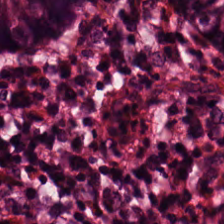Brightfield; 224×224 pixel tile; hematoxylin-and-eosin stained section — The predominant tissue is non-neoplastic colon mucosa.
